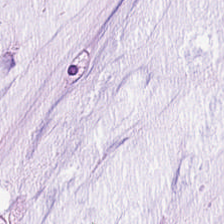Hematoxylin-and-eosin stained section.
Q: What tissue is shown?
A: This is mucus.
